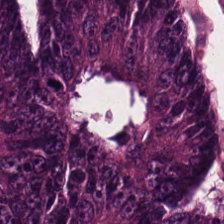H&E-stained tissue section. Brightfield microscopy — This field is tumor epithelium.
